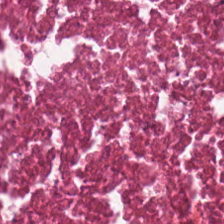H&E stain — Tissue type — necrotic debris.
